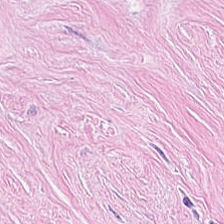0.5 µm/px. H&E-stained tissue section. Q: What tissue type is shown here?
A: This is cancer-associated stroma.
